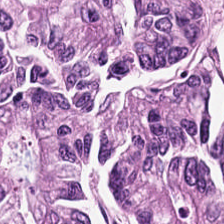H&E stain. FFPE tissue section.
The tissue here is colorectal adenocarcinoma epithelium.
